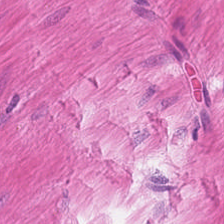H&E stain · brightfield microscopy · 224×224 pixel tile.
Q: What type of tissue is this?
A: The field shows muscularis.
